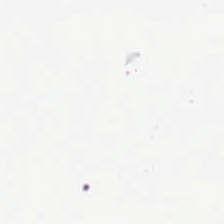H&E-stained tissue section.
This field is background (no tissue).
